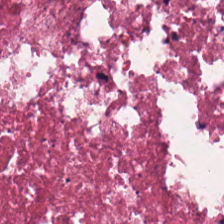Tissue class = cellular debris.
